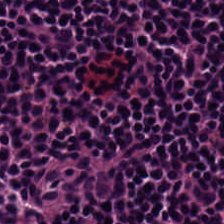H&E stain.
Classification: lymphocyte aggregate.
